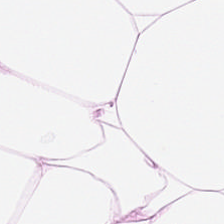H&E stain.
Showing fat tissue.
